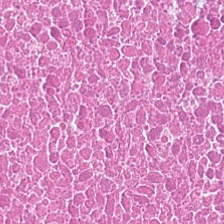H&E-stained section; the field shows necrotic debris.
